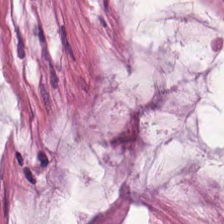Hematoxylin-and-eosin stained section.
Q: What type of tissue is this?
A: It is mucin.
